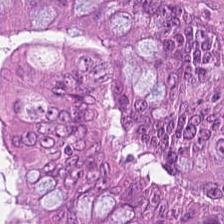{"tissue_type": "tumor epithelium"}
